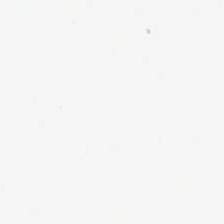This patch shows no tissue.
